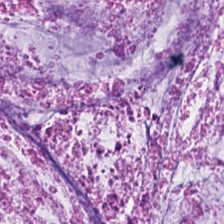224×224 px patch; formalin-fixed paraffin-embedded section; H&E-stained tissue section. Q: Classify this patch.
A: This is mucin.
